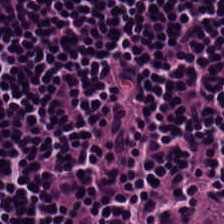Hematoxylin and eosin. Q: Classify this patch.
A: The field shows lymphoid infiltrate.
